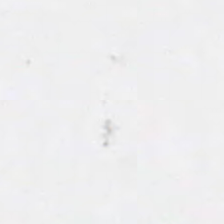Hematoxylin and eosin. Classification = no tissue.
